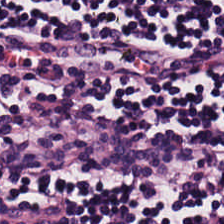H&E-stained tissue section. The predominant tissue is lymphocytic infiltrate.
